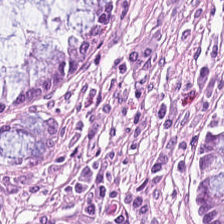Impression — normal colonic mucosa.
